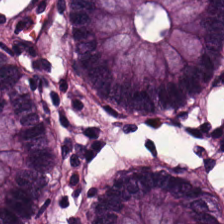Hematoxylin and eosin — Classification — benign colonic mucosa.
